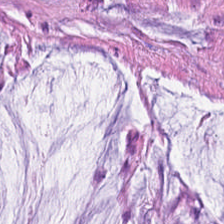Hematoxylin-and-eosin stained section · 224×224 px patch · WSI patch. Predominantly extracellular mucin.
